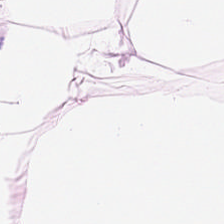Stain: hematoxylin and eosin.
Tissue class: adipocytes.
